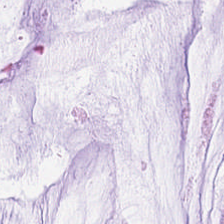H&E-stained tissue section. Impression — mucin.
